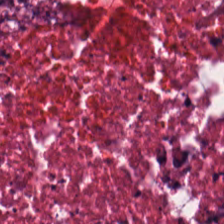H&E; 224×224 px tile.
{"tissue_type": "debris"}
